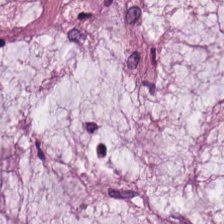Stain: H&E-stained tissue section.
Tissue type: mucin.
